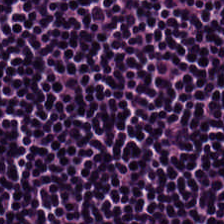Hematoxylin and eosin — {"tissue_type": "lymphocytic infiltrate"}
